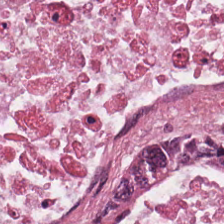H&E-stained tissue section.
Histology → adenocarcinoma.
